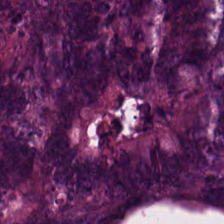Hematoxylin-and-eosin section: malignant epithelium.
